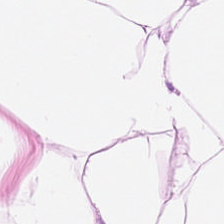Hematoxylin-and-eosin stained section — Impression → adipocytes.
